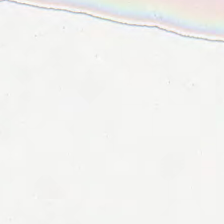224×224 px patch. H&E-stained tissue section. Classification: empty background.
